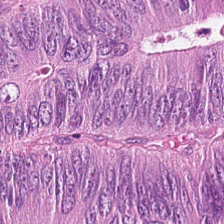Hematoxylin-and-eosin stained section — Q: What is the predominant tissue type?
A: The field shows colorectal adenocarcinoma epithelium.
